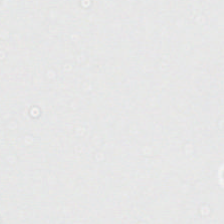H&E-stained tissue section — Classification: empty background.
